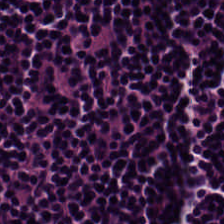H&E patch showing lymphocytes.
